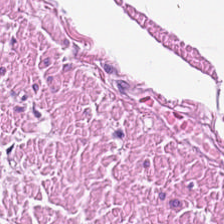Hematoxylin-and-eosin stained section; 224×224 px patch. Predominantly muscularis.
